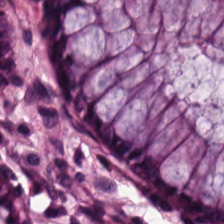Stain: H&E-stained tissue section.
Tissue class: normal colon mucosa.
